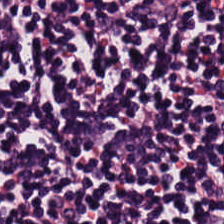Stain: hematoxylin-and-eosin stained section.
Acquisition: WSI patch.
Resolution: 20× equivalent magnification.
Tissue class: lymphoid infiltrate.
